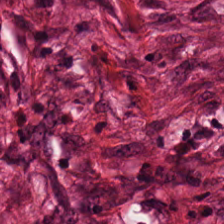FFPE tissue section · hematoxylin-and-eosin stained section. Classification: cancer-associated stroma.
